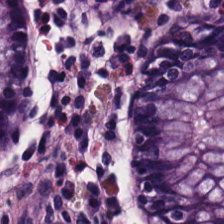Stain: H&E-stained tissue section.
Tissue type: non-neoplastic colon mucosa.
